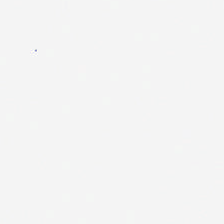Hematoxylin and eosin. Q: What is shown in this field?
A: The field shows background (no tissue).
